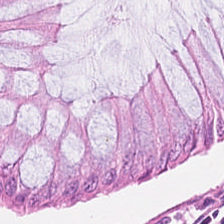224×224 px tile. Hematoxylin-and-eosin stained section. 20× equivalent magnification — This patch shows normal colon mucosa.
